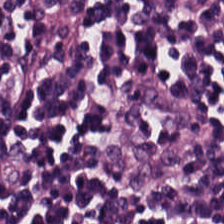H&E-stained tissue section. Impression — lymphocyte aggregate.
